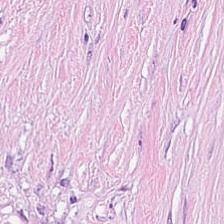Showing desmoplastic stroma.
